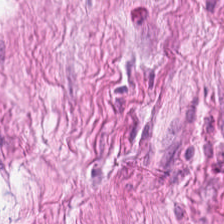H&E — smooth muscle.
